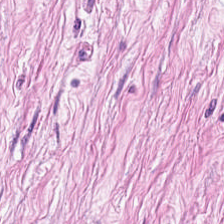Classification: desmoplastic stroma.
